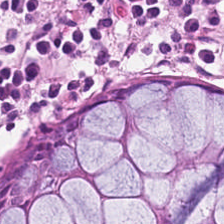Hematoxylin-and-eosin stained section — Non-neoplastic colon mucosa.
